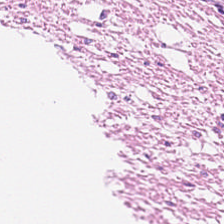Stain: hematoxylin-and-eosin stained section.
Tissue class: muscularis.
